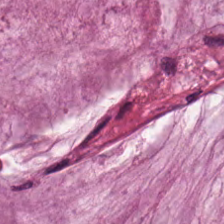Whole-slide-image patch; 224×224 pixel tile; H&E.
Q: What type of tissue is this?
A: This is extracellular mucin.
